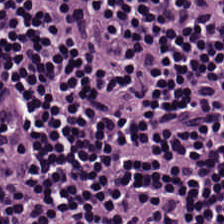224×224 pixel tile; hematoxylin-and-eosin stained section. Classification — lymphocyte aggregate.
